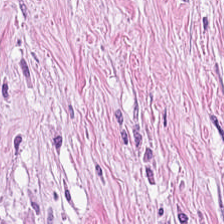Stain: hematoxylin and eosin.
Preparation: FFPE tissue section.
Tile size: 224×224 px patch.
Tissue: desmoplastic stroma.
